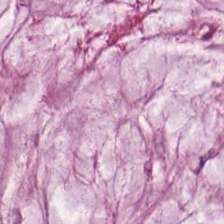Hematoxylin-and-eosin stained section. Q: What is the predominant tissue type?
A: Mucus.
